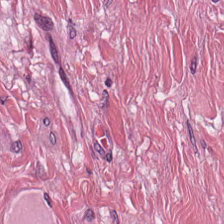Hematoxylin and eosin. Tissue = desmoplastic stroma.
